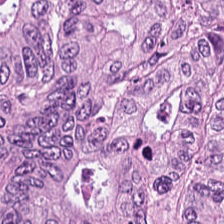Stain: hematoxylin and eosin.
Tissue type: adenocarcinoma.
